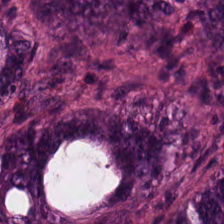WSI patch · H&E-stained tissue section.
Q: Classify this patch.
A: The field shows malignant epithelium.
